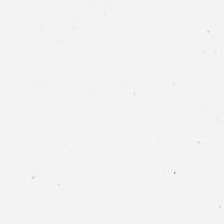Hematoxylin-and-eosin stained section.
{"content": "background"}
